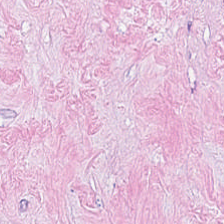Hematoxylin and eosin — This patch shows cancer-associated stroma.
